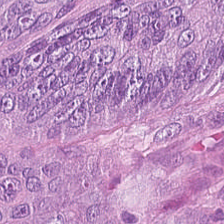0.5 µm/px; H&E stain; FFPE. Colorectal adenocarcinoma.
